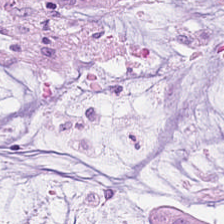H&E. The predominant tissue is mucus.
